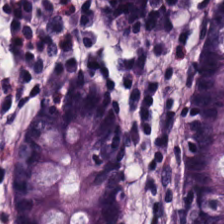{"tissue_type": "normal colon mucosa"}
